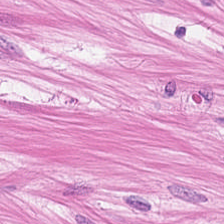Hematoxylin and eosin. Predominant tissue — smooth-muscle tissue.
